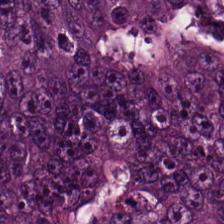Q: What is shown in this field?
A: The field shows adenocarcinoma.
